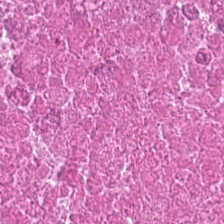Tissue class = necrotic debris.
